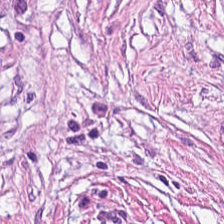Predominantly desmoplastic stroma.
